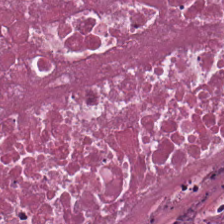Histology — debris.
